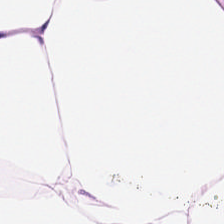{"tissue_type": "adipocytes"}
